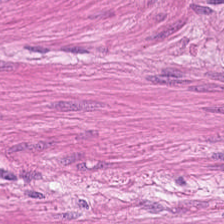H&E — smooth-muscle tissue.
